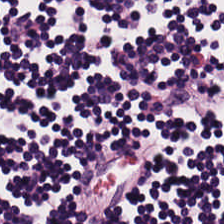0.5 µm per pixel · H&E — Classification — lymphocyte aggregate.
